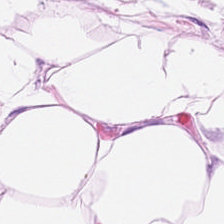Classification — fat tissue.
